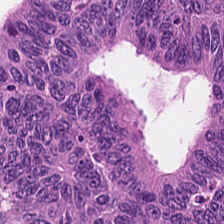Formalin-fixed paraffin-embedded section. 0.5 microns per pixel. Hematoxylin and eosin.
Q: Classify this patch.
A: This is colorectal adenocarcinoma epithelium.
